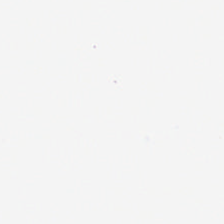H&E.
Q: What is shown here?
A: It is background (no tissue).
